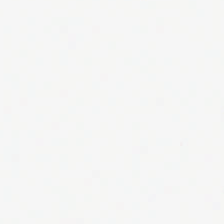H&E-stained tissue section. 0.5 microns per pixel. {"content": "background"}
